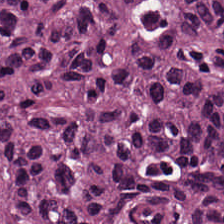Brightfield. Hematoxylin and eosin. Q: What is shown in this field?
A: Tumor epithelium.
